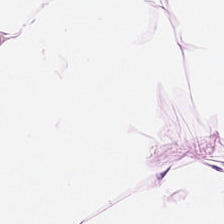224×224 pixel tile. Hematoxylin and eosin — This field is fat tissue.
